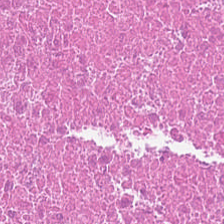H&E-stained tissue section showing cellular debris.
